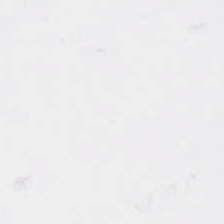Hematoxylin and eosin. Content: empty background.
